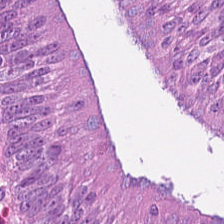Hematoxylin-and-eosin stained section · brightfield.
Tissue type = colorectal adenocarcinoma.
